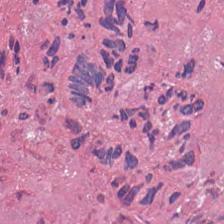H&E stain — This patch shows debris.
